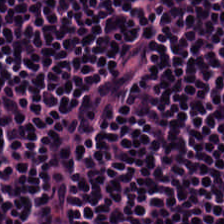H&E stain. FFPE. 224×224 pixel tile. Predominant tissue — lymphocyte aggregate.
